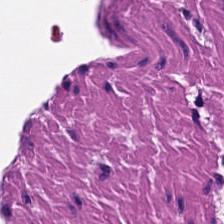Impression — muscularis.
